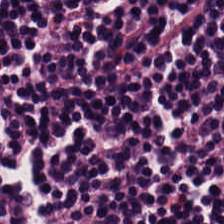Hematoxylin and eosin. This patch shows lymphocyte aggregate.
